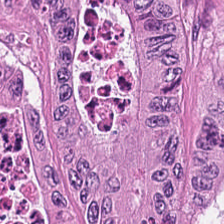H&E stain — The classification is colorectal adenocarcinoma epithelium.
